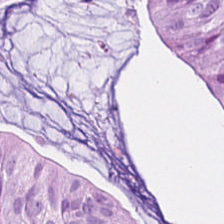{"tissue_type": "adenocarcinoma"}
